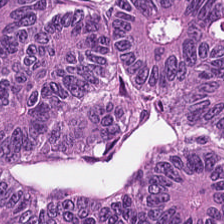Formalin-fixed paraffin-embedded section. H&E stain — Colorectal adenocarcinoma.
